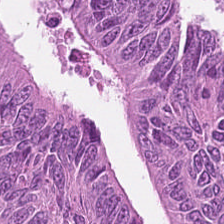20× equivalent magnification; H&E stain; 224×224 px tile — The predominant tissue is adenocarcinoma.
